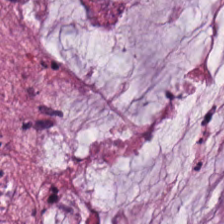FFPE · H&E-stained tissue section.
The tissue here is extracellular mucin.
